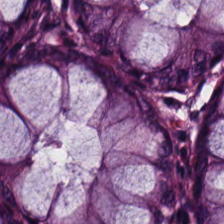H&E. The tissue here is normal colon mucosa.
